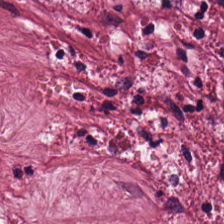H&E stain. {"tissue_type": "tumor stroma"}
